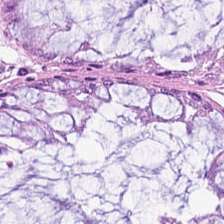H&E stain — Classification: normal colon mucosa.
